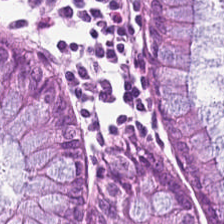H&E-stained tissue section — Q: What is the predominant tissue type?
A: Normal colon mucosa.
